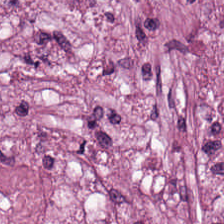Finding → cancer-associated stroma.
